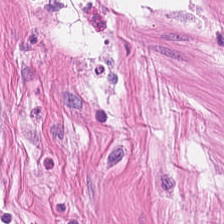Hematoxylin and eosin — Predominantly smooth muscle.
